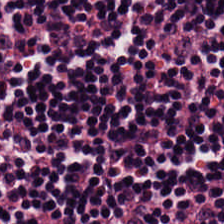Formalin-fixed paraffin-embedded section. 0.5 microns per pixel. H&E. Lymphoid infiltrate.
